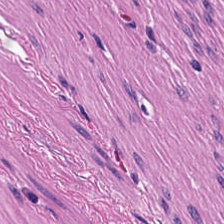Tissue class: muscularis.
